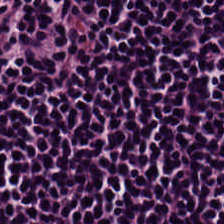H&E-stained tissue section — The tissue class is lymphocyte aggregate.
